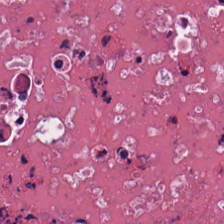H&E. Classification: cellular debris.
